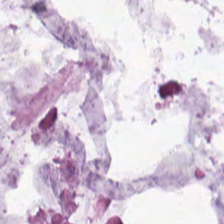H&E stain. 224×224 px patch. Q: What tissue is shown?
A: This is mucus.
